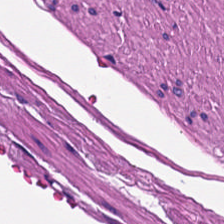H&E stain — The tissue type is smooth muscle.
